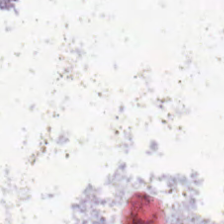Hematoxylin-and-eosin stained section · 224×224 pixel tile. Field content = background (no tissue).
